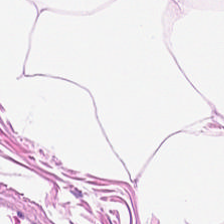Hematoxylin and eosin. Histology — fat tissue.
